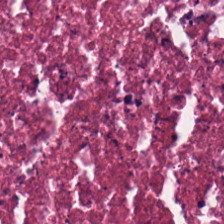Stain: H&E stain.
Tissue class: debris.
